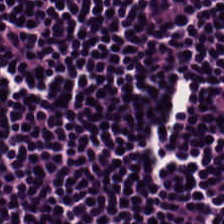Hematoxylin-and-eosin stained section. 0.5 microns per pixel. Q: Classify this patch.
A: Lymphocytic infiltrate.
